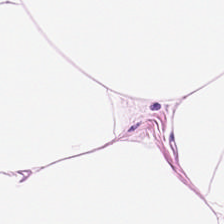H&E-stained tissue section.
Q: Classify this patch.
A: Adipose.
